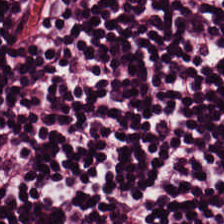Hematoxylin-and-eosin stained section; 0.5 microns per pixel; WSI patch — The classification is lymphocytic infiltrate.
